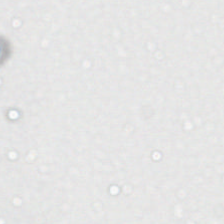224×224 pixel tile · H&E stain. Classification = no tissue.
